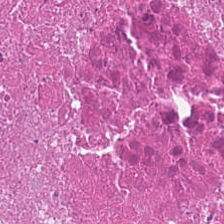Stain: H&E-stained tissue section.
Tissue class: debris.
